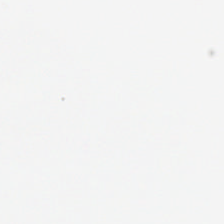H&E. This patch shows no tissue.
